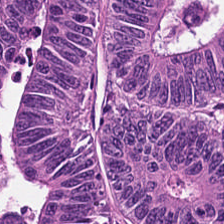Hematoxylin and eosin. FFPE tissue section. Whole-slide-image patch.
Adenocarcinoma.
